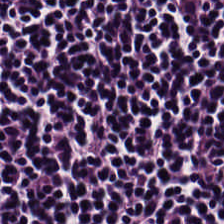224×224 px patch; 0.5 µm per pixel; H&E stain. Q: What does this patch show?
A: The field shows lymphocyte aggregate.
